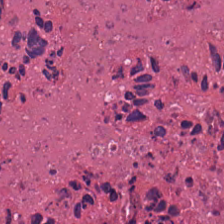Tissue class — debris.
